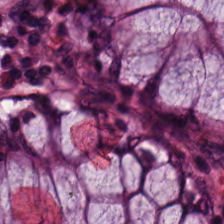Stain: H&E stain.
Predominant tissue: non-neoplastic colon mucosa.
